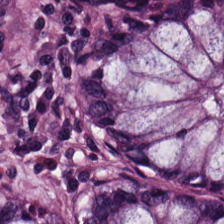0.5 µm per pixel. Hematoxylin and eosin.
Predominantly normal colon mucosa.
